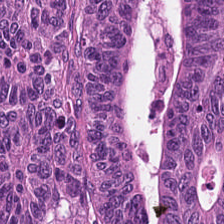Hematoxylin and eosin. The predominant tissue is adenocarcinoma.
